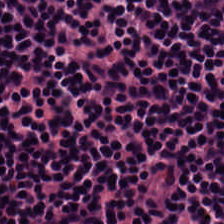FFPE tissue section; hematoxylin and eosin.
Classification — lymphocytes.
